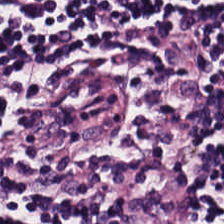Q: Classify this patch.
A: It is lymphocytes.
